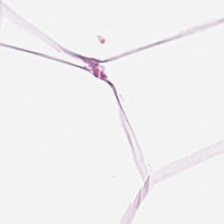{"tissue_type": "adipose"}
